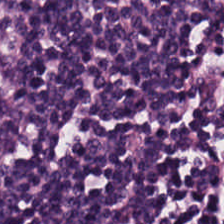H&E. Tissue: lymphocytes.
